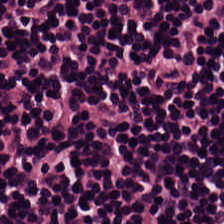224×224 px tile; H&E stain; WSI patch.
Predominant tissue: lymphocytes.
